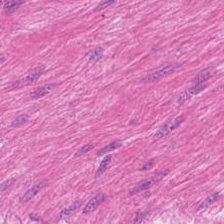H&E-stained tissue section; 224×224 pixel tile; FFPE tissue section.
This patch shows muscularis.
